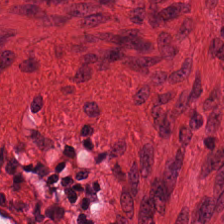Hematoxylin-and-eosin stained section. Tissue: smooth muscle.
